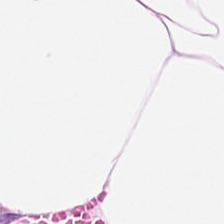Hematoxylin and eosin.
Predominantly adipose.
